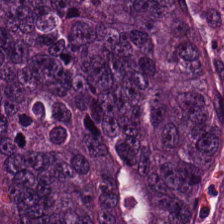Stain: H&E stain.
Resolution: 0.5 µm per pixel.
Preparation: formalin-fixed paraffin-embedded section.
Predominant tissue: colorectal adenocarcinoma epithelium.
